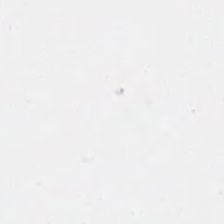0.5 µm per pixel · H&E.
This field is background (no tissue).
